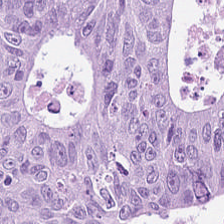The predominant tissue is malignant epithelium.
